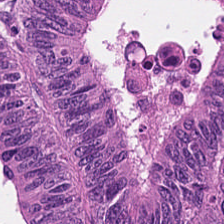Stain: H&E stain.
Classification: colorectal adenocarcinoma epithelium.
